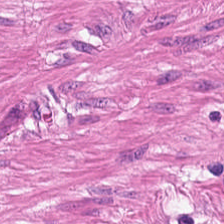H&E-stained tissue section. 224×224 px patch.
Muscularis.
